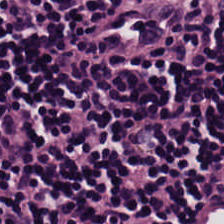{"tissue_type": "lymphoid infiltrate"}
